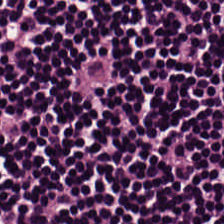H&E.
Q: Identify the tissue.
A: Lymphocytic infiltrate.
